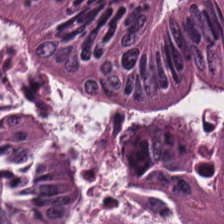FFPE tissue section · 0.5 µm/px · H&E stain.
The tissue type is malignant epithelium.
